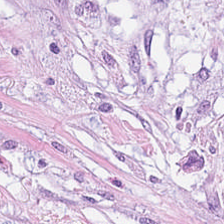Brightfield; H&E.
The tissue is mucus.
